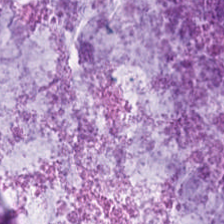H&E · 224×224 px patch · FFPE tissue section — Classification: extracellular mucin.
